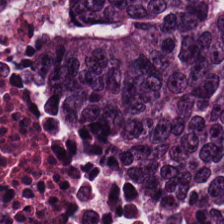H&E-stained tissue section; 0.5 µm per pixel. This field is colorectal adenocarcinoma.
